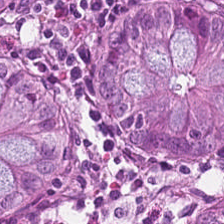H&E stain. Tissue type — benign colonic mucosa.
